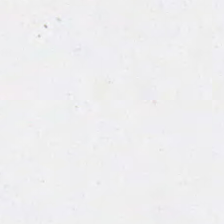H&E stain. Finding — no tissue.
